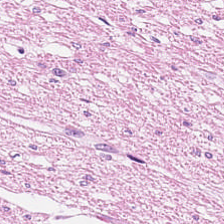Brightfield microscopy; H&E-stained tissue section. Q: Identify the tissue.
A: It is smooth-muscle tissue.
